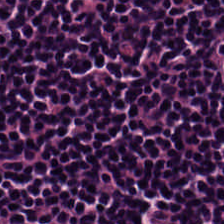224×224 pixel tile. H&E-stained tissue section. Formalin-fixed paraffin-embedded section — Q: Identify the tissue.
A: This is lymphocytes.
